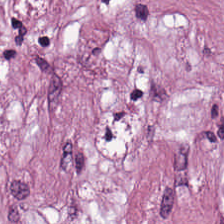H&E-stained tissue section. Desmoplastic stroma.
